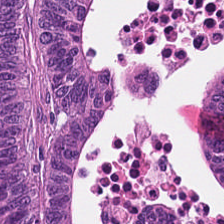H&E · 0.5 µm per pixel · brightfield — This field is colorectal adenocarcinoma epithelium.
